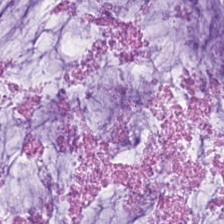H&E stain — Q: What type of tissue is this?
A: This is extracellular mucin.
